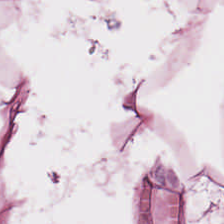Hematoxylin-and-eosin stained section · 224×224 px tile — Predominantly adipose tissue.
